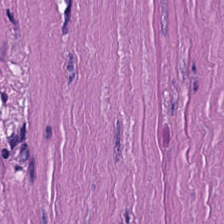H&E-stained tissue section · FFPE · 224×224 pixel tile.
The predominant tissue is muscularis.
